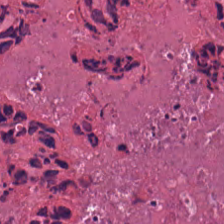Cellular debris.
